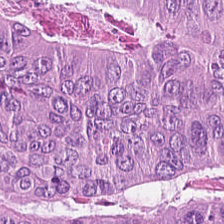Classification — tumor epithelium.
